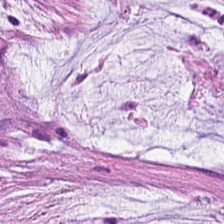H&E stain. FFPE tissue section. Brightfield — Tissue — mucin.
